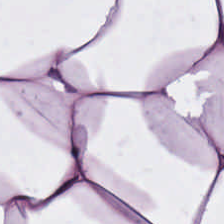Hematoxylin and eosin.
Q: What is shown here?
A: It is fat tissue.
